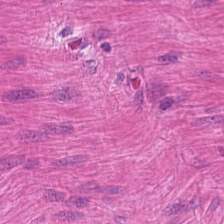Stain: H&E.
Predominant tissue: smooth-muscle tissue.
